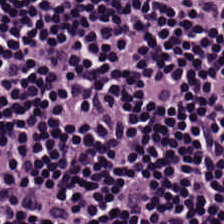Predominantly lymphoid infiltrate.
